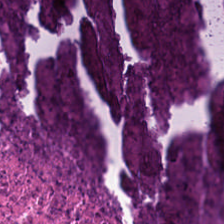Stain: hematoxylin-and-eosin stained section.
Tissue: debris.
